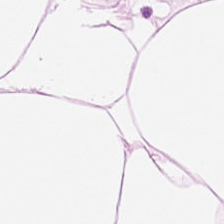Tissue = adipocytes.
